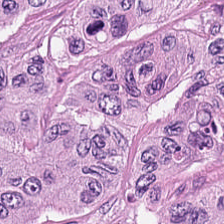This field is tumor epithelium.
